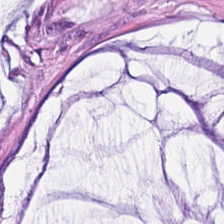Brightfield microscopy · H&E — {"tissue_type": "mucus"}
